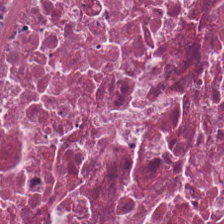H&E.
Tissue class — necrotic debris.
